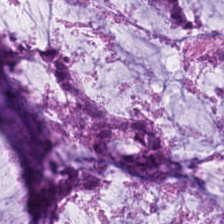Stain: hematoxylin and eosin.
Preparation: formalin-fixed paraffin-embedded section.
Predominant tissue: mucin.
